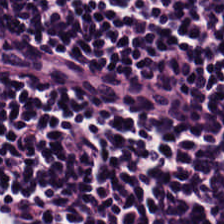Stain: H&E-stained tissue section.
Tissue type: lymphocyte aggregate.
